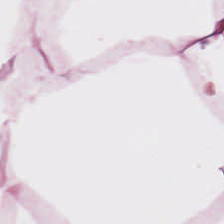Whole-slide-image patch. H&E-stained tissue section. Tissue — adipocytes.
